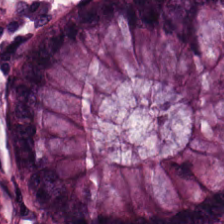Hematoxylin-and-eosin stained section · 0.5 microns per pixel.
The predominant tissue is normal colon mucosa.
